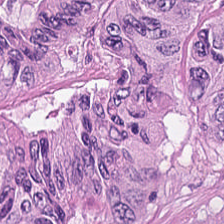H&E-stained tissue section. Classification = malignant epithelium.
